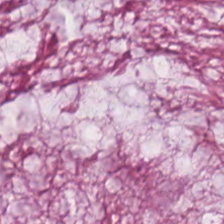Hematoxylin and eosin — Classification: mucin.
